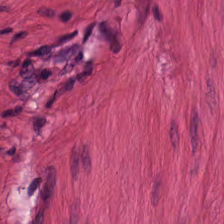Stain: hematoxylin-and-eosin stained section.
Resolution: 0.5 µm/px.
Acquisition: brightfield microscopy.
Tissue: smooth muscle.
